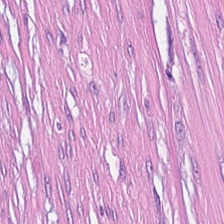Tissue — tumor-associated stroma.
